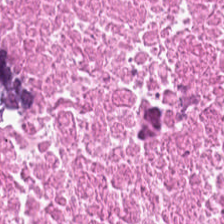H&E. Predominant tissue = necrotic debris.
